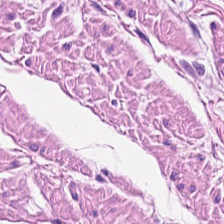Histology → smooth-muscle tissue.
